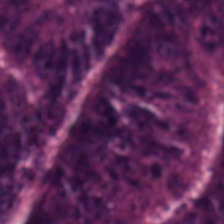Hematoxylin and eosin.
The tissue class is malignant epithelium.
